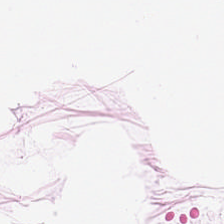H&E · 0.5 microns per pixel · brightfield microscopy. Tissue type — fat tissue.
